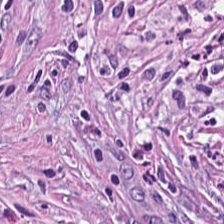224×224 px tile; 20× equivalent magnification; H&E — The tissue here is tumor stroma.
